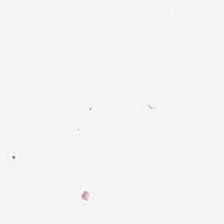WSI patch · H&E. The classification is background (no tissue).
